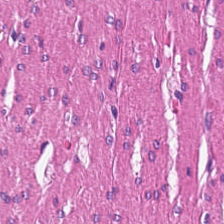Hematoxylin-and-eosin stained section; 224×224 pixel tile — Impression — muscularis.
